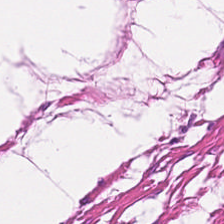Hematoxylin-and-eosin stained section · 224×224 px tile — The tissue here is muscularis.
